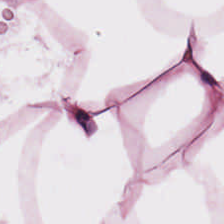H&E. Q: What is shown here?
A: This is adipocytes.
